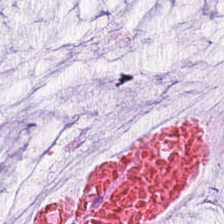Hematoxylin-and-eosin stained section — Classification = extracellular mucin.
